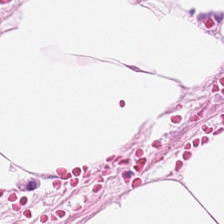H&E-stained tissue section.
Tissue = fat tissue.
